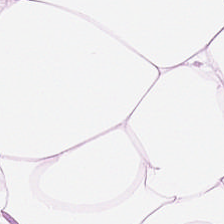H&E-stained tissue section.
Q: Identify the tissue.
A: This is fat tissue.
